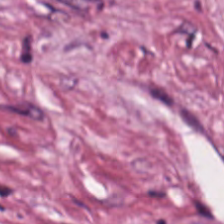{"tissue_type": "tumor stroma"}
